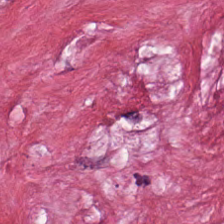0.5 microns per pixel · hematoxylin-and-eosin stained section. Q: What tissue type is shown here?
A: This is cancer-associated stroma.
